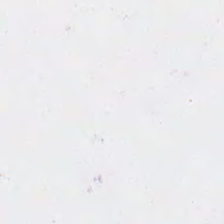Stain: hematoxylin-and-eosin stained section.
Content: background (no tissue).
